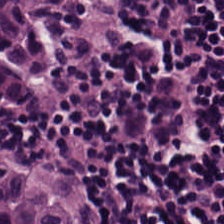Hematoxylin-and-eosin stained section.
Showing lymphoid infiltrate.
